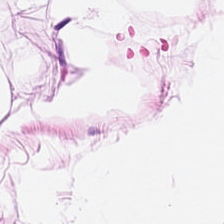Whole-slide-image patch; H&E stain.
Showing adipose.
